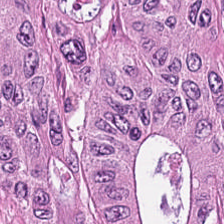H&E.
This patch shows tumor epithelium.
